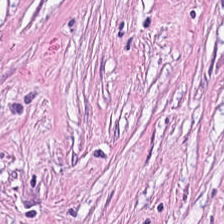This patch shows tumor-associated stroma.
